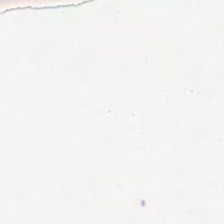H&E stain.
Classification = empty background.
